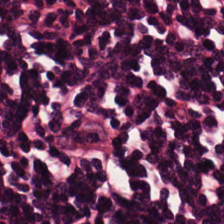Tissue type — lymphoid infiltrate.
